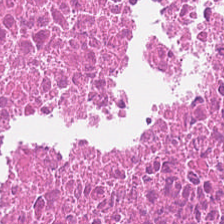H&E. Tissue class = necrotic debris.
